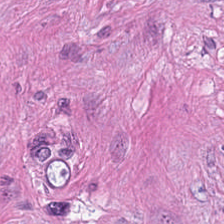H&E. Q: What does this patch show?
A: The field shows tumor stroma.
